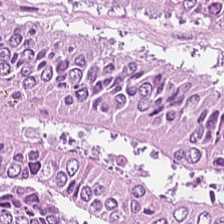224×224 px tile. H&E stain. FFPE tissue section. Finding — colorectal adenocarcinoma epithelium.
